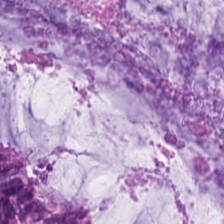H&E. The predominant tissue is extracellular mucin.
